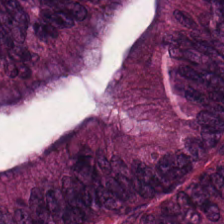Q: What type of tissue is this?
A: Tumor epithelium.
